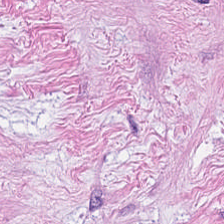Brightfield · H&E.
Q: What is the predominant tissue type?
A: Tumor-associated stroma.
